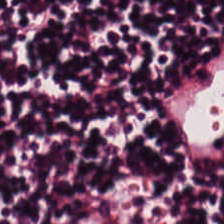H&E. 20× equivalent magnification. The tissue is lymphocyte aggregate.
